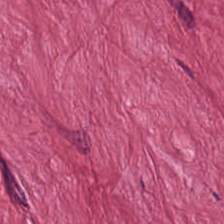H&E-stained tissue section. Tissue: tumor stroma.
